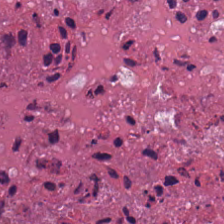Cellular debris.
